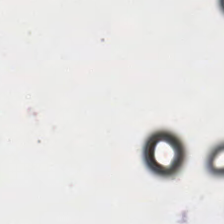This patch shows background (no tissue).
